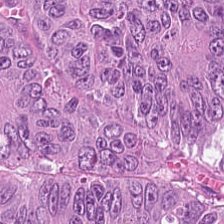Tissue type = colorectal adenocarcinoma.
